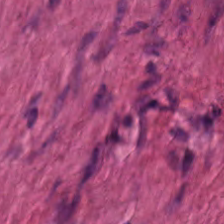FFPE tissue section. H&E-stained tissue section. 0.5 microns per pixel. Classification: smooth-muscle tissue.
